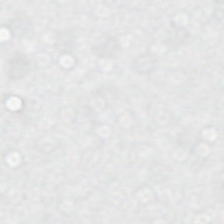{"content": "background"}
